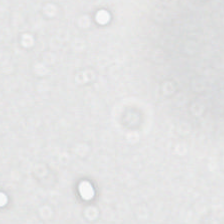H&E stain.
Histology → empty background.
